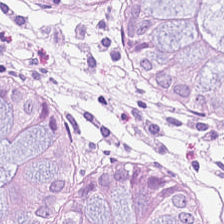Stain: H&E-stained tissue section.
Preparation: formalin-fixed paraffin-embedded section.
Tissue: normal colonic mucosa.
